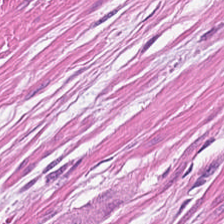Stain: H&E.
Tissue class: muscularis.
